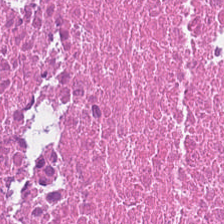H&E — debris.
